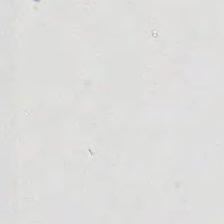0.5 µm/px; H&E stain; brightfield — The content is empty background.
